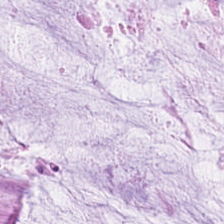H&E. Impression → extracellular mucin.
